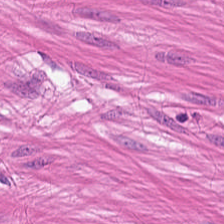0.5 µm/px. Formalin-fixed paraffin-embedded section. Hematoxylin and eosin. Muscularis.
